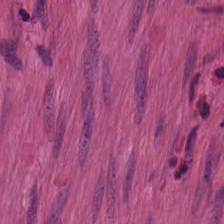H&E-stained tissue section. FFPE tissue section. The predominant tissue is muscularis.
